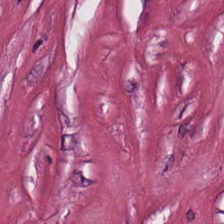Tumor-associated stroma.
